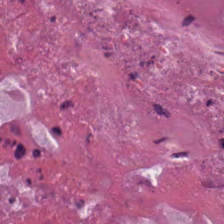Stain: H&E.
Tissue: cellular debris.
